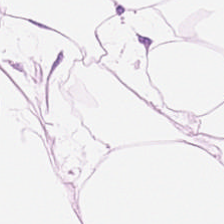Formalin-fixed paraffin-embedded section; 0.5 µm/px; H&E-stained tissue section. Tissue type — adipose tissue.
